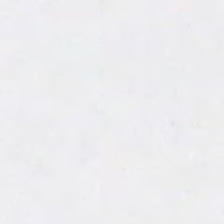Hematoxylin-and-eosin stained section.
Classification: no tissue.
